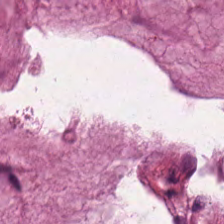Hematoxylin-and-eosin section: mucin.
